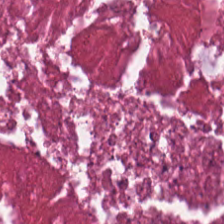Whole-slide-image patch. Hematoxylin and eosin — Histology — necrotic debris.
